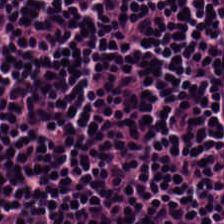Hematoxylin and eosin. 224×224 pixel tile — The tissue here is lymphocytes.
